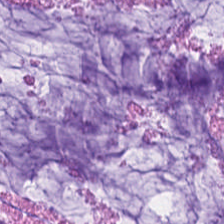Classification: mucin.
